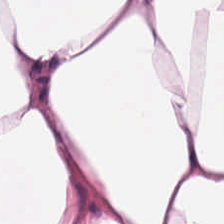Histology → adipocytes.
